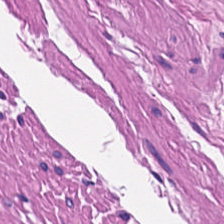H&E-stained section; the field shows muscularis.
